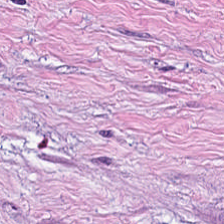Hematoxylin-and-eosin stained section. Showing tumor-associated stroma.
